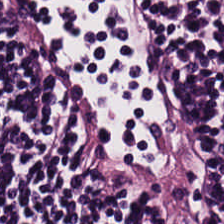H&E-stained tissue section. 224×224 px patch. FFPE tissue section.
{"tissue_type": "lymphocyte aggregate"}
